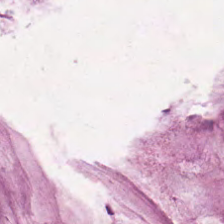Q: What is shown in this field?
A: This is extracellular mucin.
